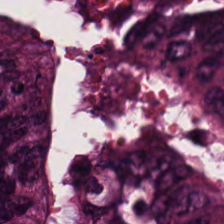H&E-stained tissue section. Tissue = tumor epithelium.
